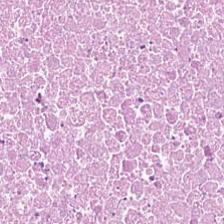Hematoxylin-and-eosin stained section. Tissue type: cellular debris.
